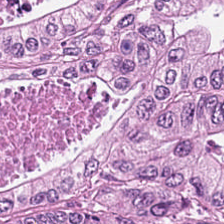Hematoxylin and eosin — Finding — tumor epithelium.
